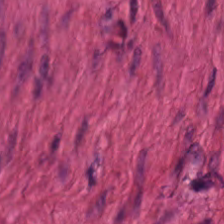Hematoxylin and eosin. This patch shows smooth-muscle tissue.
